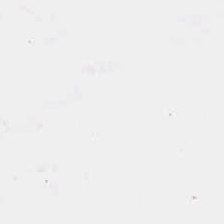Hematoxylin-and-eosin stained section — Content: no tissue.
